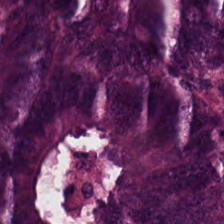Stain: H&E-stained tissue section.
Preparation: FFPE.
Acquisition: brightfield microscopy.
Classification: tumor epithelium.
